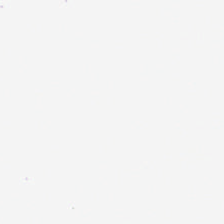0.5 microns per pixel · hematoxylin-and-eosin stained section · whole-slide-image patch.
Background (no tissue).
